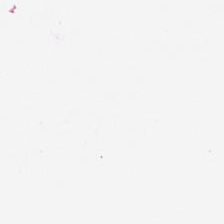H&E stain — Finding — background.
